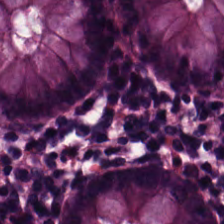Hematoxylin-and-eosin stained section. Normal colonic mucosa.
